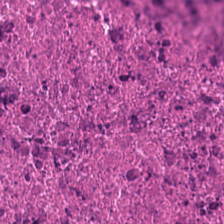Stain: hematoxylin and eosin.
Preparation: FFPE.
Tissue type: debris.
